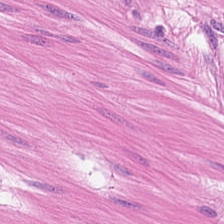H&E-stained tissue section; 224×224 px patch; brightfield — Muscularis.
